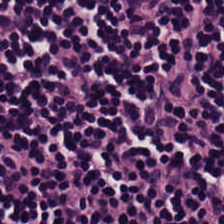Hematoxylin-and-eosin stained section. FFPE. Q: What does this patch show?
A: The field shows lymphocyte aggregate.
